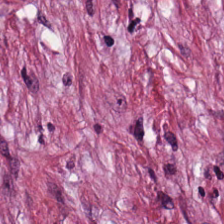Whole-slide-image patch · hematoxylin-and-eosin stained section. Predominant tissue = cancer-associated stroma.
